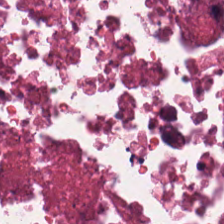Hematoxylin-and-eosin stained section — Q: What is the predominant tissue type?
A: This is necrotic debris.
